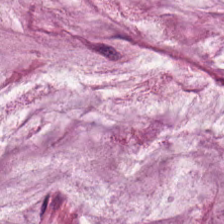This patch shows mucin.
